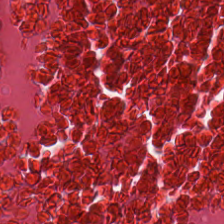Classification — cellular debris.
